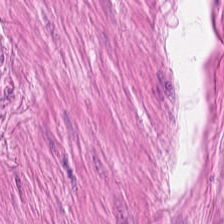H&E stain. This field is muscularis.
